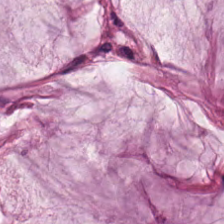Hematoxylin-and-eosin stained section; formalin-fixed paraffin-embedded section — Classification = extracellular mucin.
